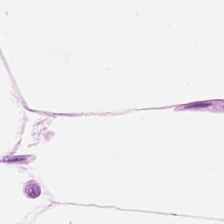H&E-stained tissue section · 0.5 µm/px · WSI patch. The classification is adipose.
